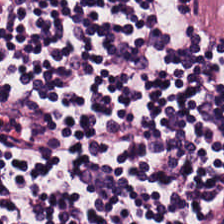H&E.
Predominantly lymphocyte aggregate.
